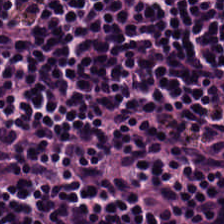Finding — lymphocyte aggregate.
